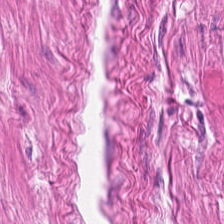H&E-stained tissue section — Tissue: smooth-muscle tissue.
